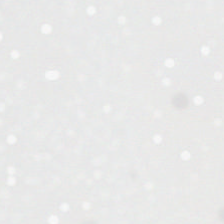H&E stain; 20× equivalent magnification — This field is background (no tissue).
